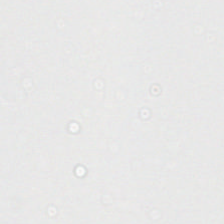H&E · 224×224 pixel tile · brightfield microscopy. This patch shows background.
